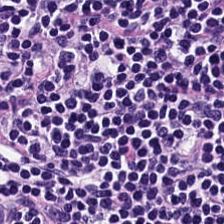H&E-stained tissue section. WSI patch. Showing lymphocytes.
